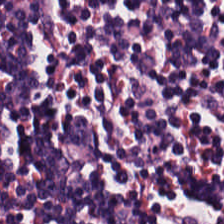Stain: H&E.
Tissue class: lymphocyte aggregate.
